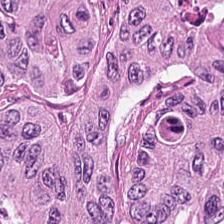Whole-slide-image patch; hematoxylin and eosin. Q: What tissue is shown?
A: The field shows colorectal adenocarcinoma.
